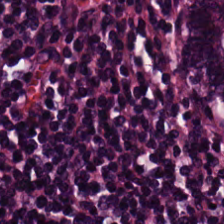0.5 µm per pixel · hematoxylin and eosin. The tissue here is lymphocytes.
